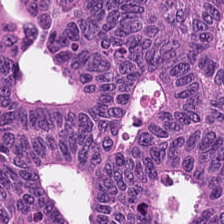Stain: H&E stain.
Tissue: colorectal adenocarcinoma epithelium.
